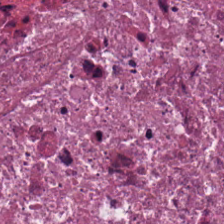H&E-stained tissue section.
Tissue — debris.
